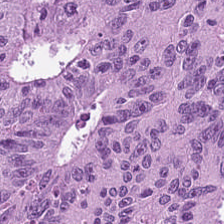H&E. Classification — colorectal adenocarcinoma epithelium.
